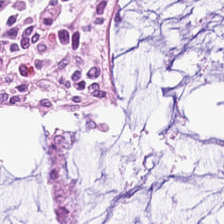Stain: hematoxylin-and-eosin stained section.
Predominant tissue: non-neoplastic colon mucosa.
